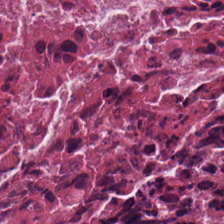224×224 px tile; hematoxylin and eosin.
Tissue type: cellular debris.
